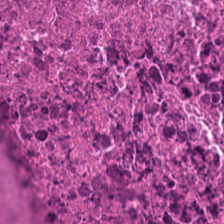224×224 px patch. Hematoxylin and eosin. Brightfield microscopy. Q: What tissue is shown?
A: The field shows cellular debris.
